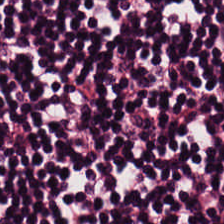Brightfield microscopy. FFPE. H&E stain — Predominantly lymphocytic infiltrate.
